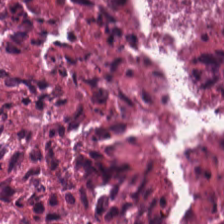H&E — Predominant tissue = necrotic debris.
